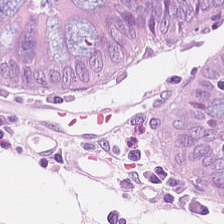H&E stain — Normal colon mucosa.
